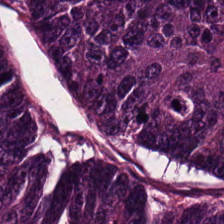Hematoxylin and eosin — Q: What is shown here?
A: Colorectal adenocarcinoma.
